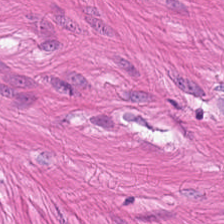This field is muscularis.
